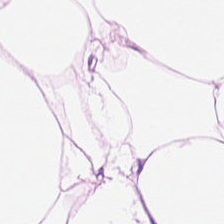224×224 px tile; hematoxylin and eosin; 20× equivalent magnification. {"tissue_type": "adipose"}
